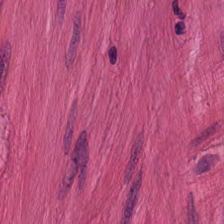The classification is smooth-muscle tissue.
